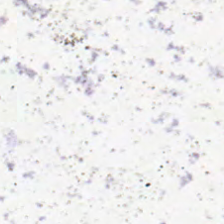H&E-stained tissue section — Content: background (no tissue).
